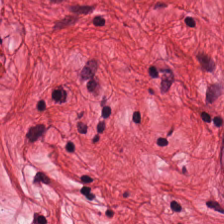0.5 µm per pixel · hematoxylin-and-eosin stained section · whole-slide-image patch.
Classification = muscularis.
